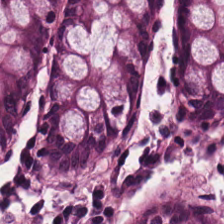Hematoxylin-and-eosin stained section.
Q: What is shown here?
A: The field shows non-neoplastic colon mucosa.
